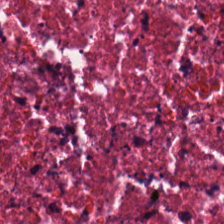Showing debris.
